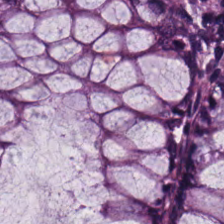H&E.
The tissue class is normal colonic mucosa.
